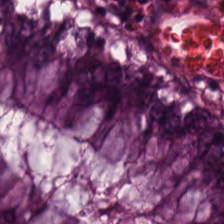Brightfield microscopy · hematoxylin-and-eosin stained section.
Tissue = normal colon mucosa.
